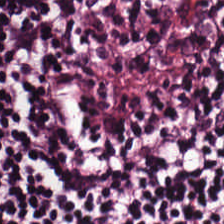H&E stain.
The classification is lymphoid infiltrate.
